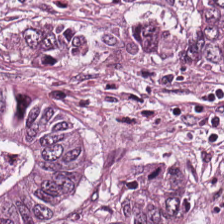H&E-stained section; the field shows colorectal adenocarcinoma epithelium.
